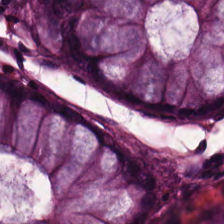H&E-stained tissue section.
Showing normal colon mucosa.
